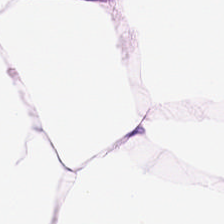H&E stain. Predominantly adipose.
